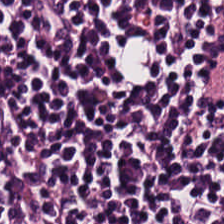H&E-stained tissue section. Formalin-fixed paraffin-embedded section. 0.5 µm per pixel.
Impression → lymphocyte aggregate.
